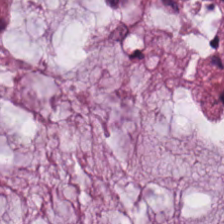{"tissue_type": "extracellular mucin"}
